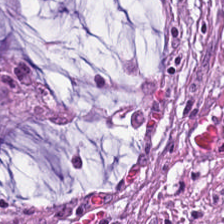Hematoxylin and eosin. Whole-slide-image patch. The predominant tissue is extracellular mucin.
